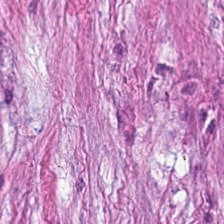Whole-slide-image patch; FFPE; hematoxylin and eosin.
Predominant tissue = tumor stroma.
